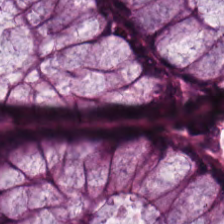Hematoxylin-and-eosin stained section. Predominant tissue: normal colonic mucosa.
